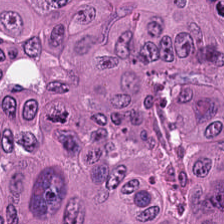Stain: hematoxylin-and-eosin stained section.
Tissue class: colorectal adenocarcinoma.
